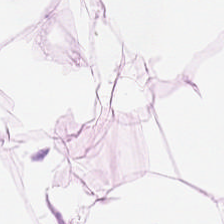0.5 µm per pixel. Hematoxylin-and-eosin stained section. 224×224 px tile. Histology — adipose.
